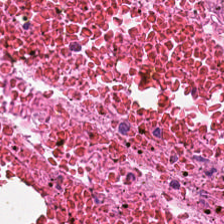Hematoxylin and eosin — This patch shows cellular debris.
